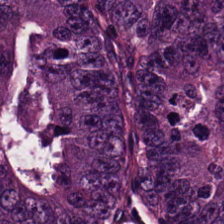0.5 µm/px · H&E — The tissue class is malignant epithelium.
